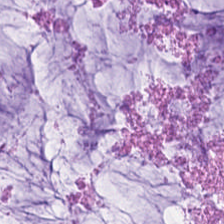Hematoxylin-and-eosin stained section; 0.5 µm per pixel — The predominant tissue is mucus.
